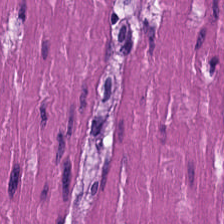The predominant tissue is smooth muscle.
